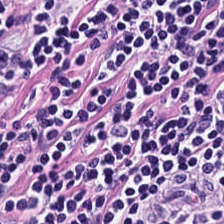Hematoxylin and eosin — Q: What is the predominant tissue type?
A: This is lymphoid infiltrate.
